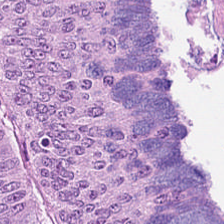H&E · 224×224 px patch. This patch shows malignant epithelium.
